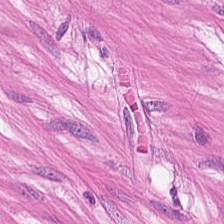This patch shows muscularis.
